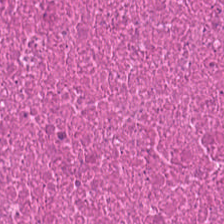Hematoxylin and eosin — Q: What is shown in this field?
A: This is cellular debris.
